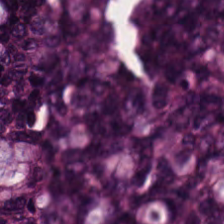H&E stain — This field is malignant epithelium.
